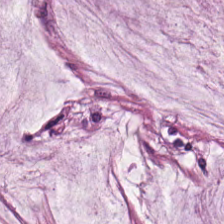Hematoxylin-and-eosin stained section — Tissue class = mucus.
